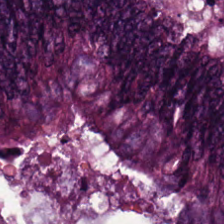Hematoxylin and eosin; 224×224 px patch — Malignant epithelium.
